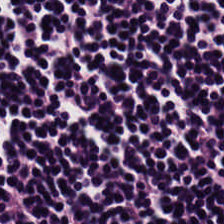0.5 µm/px · H&E.
Q: What type of tissue is this?
A: The field shows lymphocyte aggregate.
